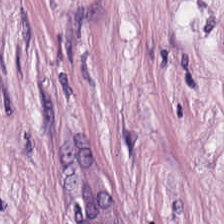Hematoxylin-and-eosin stained section.
Showing desmoplastic stroma.
